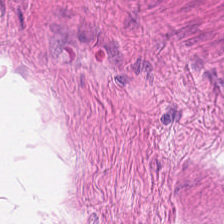Q: What does this patch show?
A: It is muscularis.
